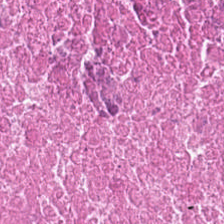FFPE tissue section. H&E-stained tissue section — Q: Identify the tissue.
A: The field shows necrotic debris.
